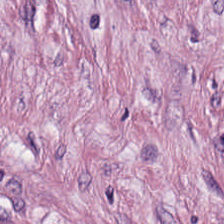H&E. {"tissue_type": "tumor stroma"}
